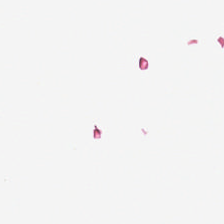H&E; 0.5 µm/px.
{"content": "empty background"}
